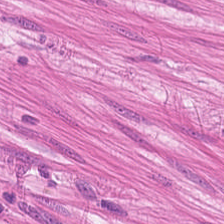Hematoxylin and eosin; 224×224 pixel tile.
Q: What type of tissue is this?
A: It is smooth muscle.
